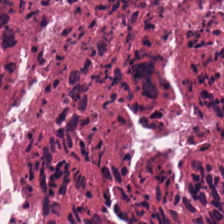Formalin-fixed paraffin-embedded section. Brightfield. Hematoxylin and eosin.
The classification is necrotic debris.
